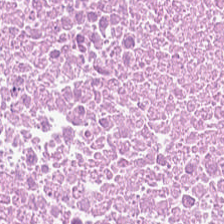Formalin-fixed paraffin-embedded section · hematoxylin and eosin. Impression → necrotic debris.
